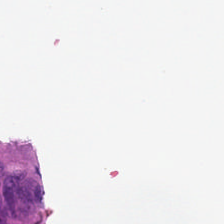Background — no tissue in this field.
